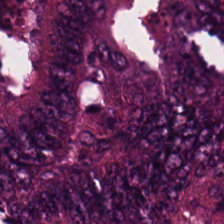Formalin-fixed paraffin-embedded section; H&E.
The tissue here is colorectal adenocarcinoma.
